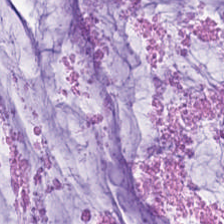0.5 µm/px. Hematoxylin and eosin.
This field is mucus.
